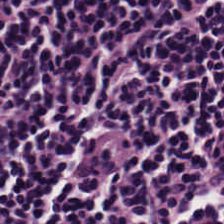H&E stain. Lymphocytes.
